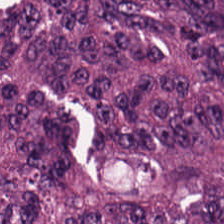FFPE · hematoxylin-and-eosin stained section.
Q: What tissue is shown?
A: It is tumor epithelium.
